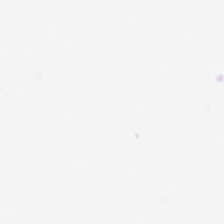The classification is no tissue.
